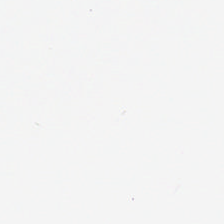224×224 px tile; formalin-fixed paraffin-embedded section; hematoxylin and eosin. Content: background (no tissue).
